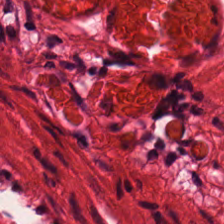Showing smooth-muscle tissue.
